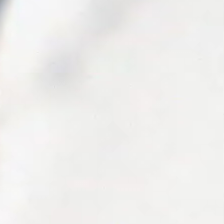Brightfield microscopy · H&E stain. This field is background (no tissue).
